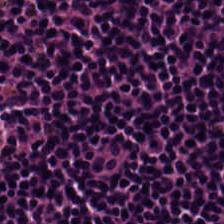20× equivalent magnification; hematoxylin-and-eosin stained section; formalin-fixed paraffin-embedded section.
Tissue type = lymphocytic infiltrate.
